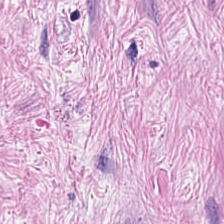0.5 microns per pixel; hematoxylin and eosin.
The predominant tissue is tumor stroma.
